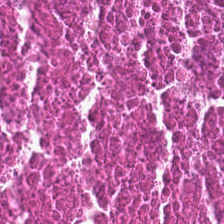Formalin-fixed paraffin-embedded section; H&E — This patch shows debris.
